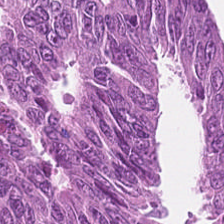Brightfield; H&E stain.
The tissue class is tumor epithelium.
